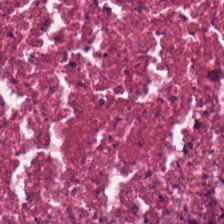H&E — This patch shows debris.
